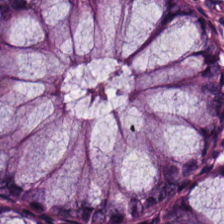Stain: H&E-stained tissue section.
Resolution: 20× equivalent magnification.
Tissue: normal colon mucosa.
